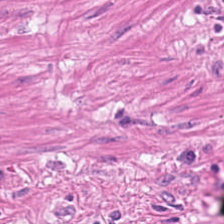H&E-stained tissue section · 224×224 px patch · brightfield.
This patch shows smooth-muscle tissue.
